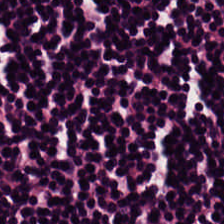H&E. 224×224 px patch. Histology → lymphocytes.
